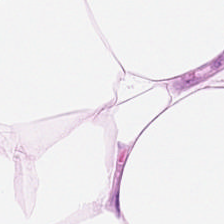H&E-stained tissue section.
Tissue type = fat tissue.
